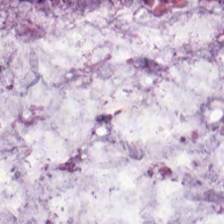H&E-stained tissue section showing extracellular mucin.
